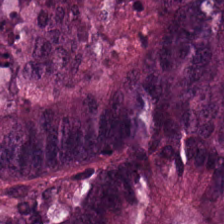The tissue type is malignant epithelium.
